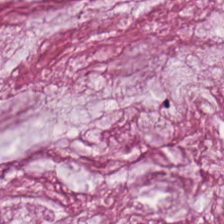FFPE; hematoxylin-and-eosin stained section — Q: What is shown in this field?
A: It is mucus.
